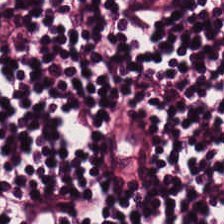H&E. {"tissue_type": "lymphocytes"}
